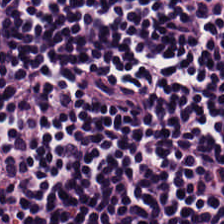H&E-stained tissue section.
This field is lymphocyte aggregate.
